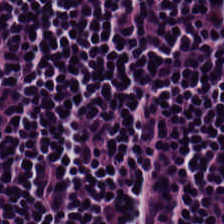Hematoxylin-and-eosin stained section · FFPE tissue section.
Finding — lymphocytes.
